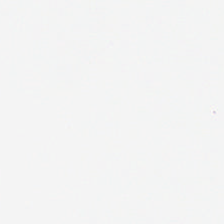Hematoxylin-and-eosin stained section — Content: background.
